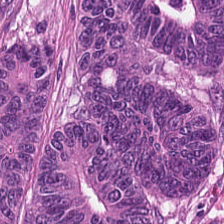H&E. Showing malignant epithelium.
